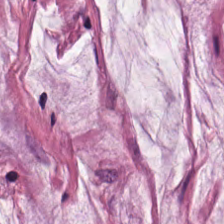Finding — mucin.
